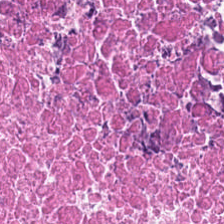Stain: hematoxylin-and-eosin stained section.
Acquisition: WSI patch.
Tissue type: cellular debris.
